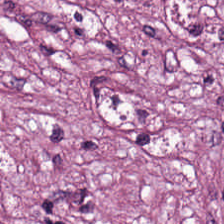Q: Identify the tissue.
A: Desmoplastic stroma.
